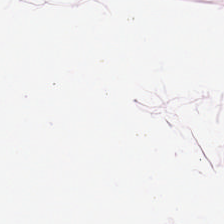Finding → adipocytes.
